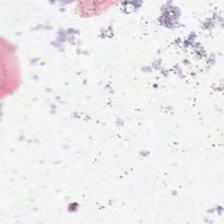Hematoxylin and eosin. The content is empty background.
